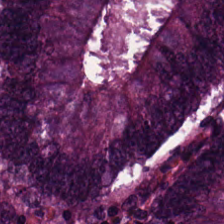H&E-stained tissue section — Tissue type: tumor epithelium.
